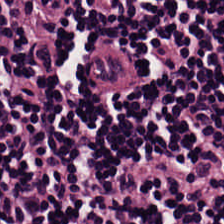Stain: hematoxylin and eosin.
Tissue type: lymphocytes.
